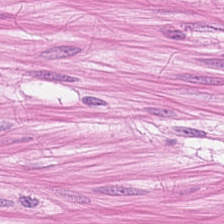{"tissue_type": "muscularis"}
